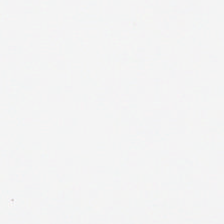Q: Classify this patch.
A: No tissue.
